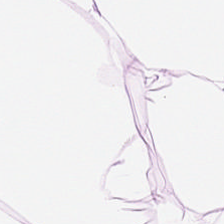H&E stain.
This patch shows fat tissue.
